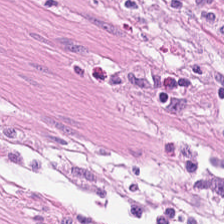0.5 µm per pixel. H&E-stained tissue section. 224×224 pixel tile. Classification: smooth muscle.
